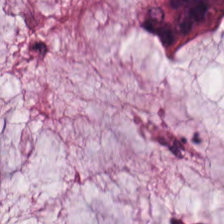0.5 microns per pixel; H&E; 224×224 pixel tile — Predominantly extracellular mucin.
